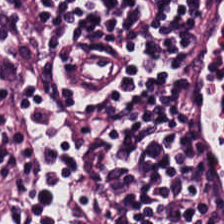H&E; brightfield. The tissue is lymphoid infiltrate.
